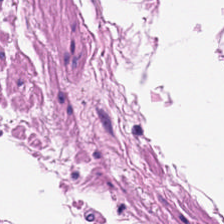224×224 px tile; H&E-stained tissue section.
Tissue class: smooth muscle.
